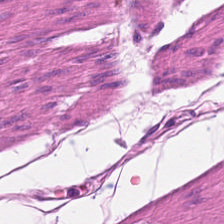H&E. Q: What tissue is shown?
A: Muscularis.
